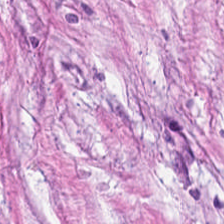224×224 px patch; hematoxylin-and-eosin stained section; 0.5 µm/px. {"tissue_type": "desmoplastic stroma"}
